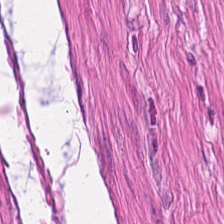FFPE tissue section · hematoxylin and eosin.
Finding — muscularis.
